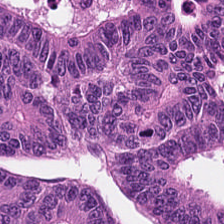Hematoxylin-and-eosin stained section · 224×224 px tile — Tissue — tumor epithelium.
